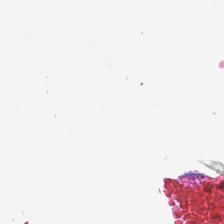Hematoxylin-and-eosin stained section.
Classification: empty background.
